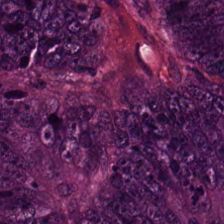Showing adenocarcinoma.
